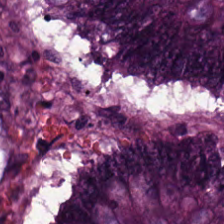Predominant tissue — malignant epithelium.
